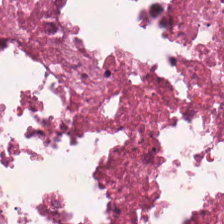H&E stain. Impression — debris.
